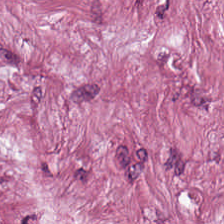Stain: H&E stain.
Classification: tumor-associated stroma.
